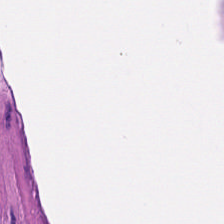H&E stain.
Q: Identify the tissue.
A: Smooth-muscle tissue.
